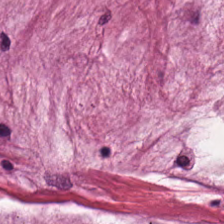The predominant tissue is mucus.
